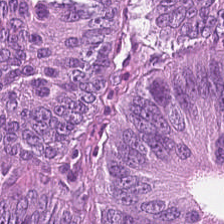Hematoxylin and eosin. The tissue here is colorectal adenocarcinoma epithelium.
